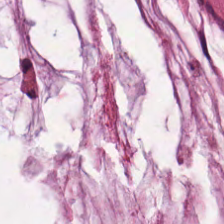H&E-stained tissue section. This patch shows mucus.
